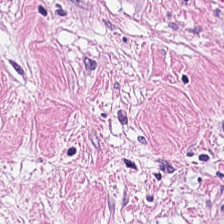H&E-stained tissue section. Formalin-fixed paraffin-embedded section.
This patch shows tumor-associated stroma.
